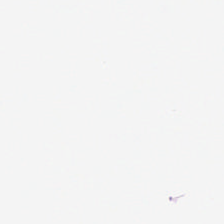H&E.
Classification: no tissue.
